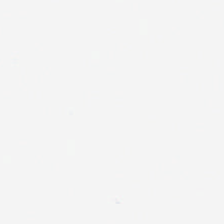Hematoxylin-and-eosin stained section — Q: What is shown in this field?
A: It is background.
